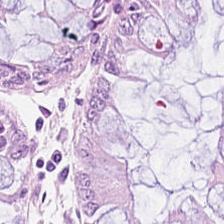This field is non-neoplastic colon mucosa.
